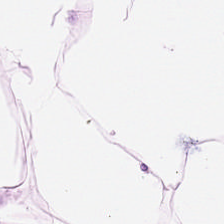Hematoxylin and eosin — Adipocytes.
